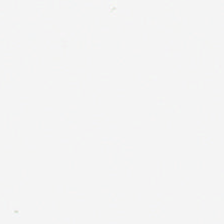H&E-stained tissue section. Field content = empty background.
